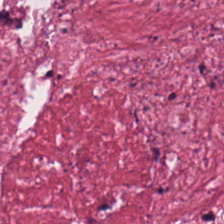Impression → tumor stroma.
